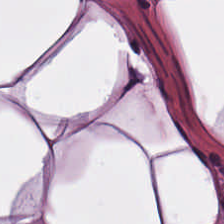H&E — adipose tissue.
